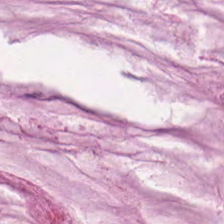Stain: H&E.
Resolution: 0.5 µm per pixel.
Classification: mucus.
